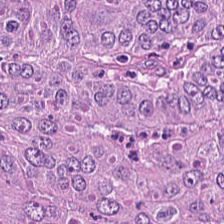Hematoxylin-and-eosin section: tumor epithelium.
